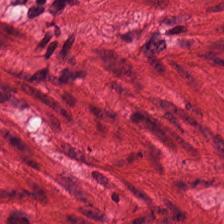H&E stain. Smooth-muscle tissue.
